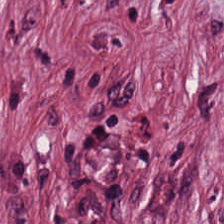Hematoxylin and eosin. Impression — tumor stroma.
